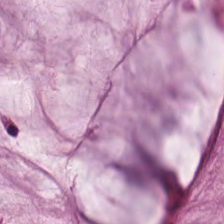H&E stain — Tissue = mucin.
